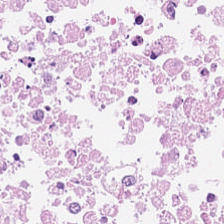Stain: hematoxylin and eosin.
Preparation: FFPE tissue section.
Resolution: 0.5 µm/px.
Tissue: cellular debris.
